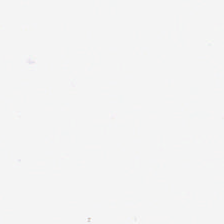H&E; 0.5 microns per pixel.
Empty field — background (no tissue).
